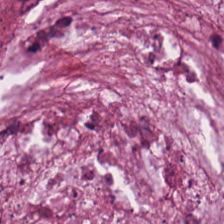H&E stain — Tissue class = extracellular mucin.
